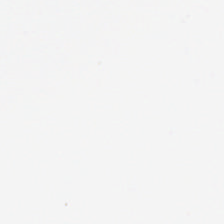Hematoxylin and eosin — Q: What is shown in this field?
A: It is background (no tissue).
